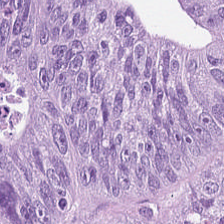Hematoxylin and eosin. Impression → colorectal adenocarcinoma epithelium.
